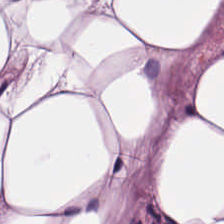224×224 px tile. H&E stain — Impression → adipose.
